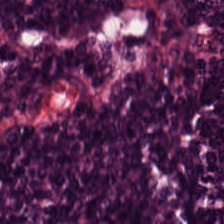Hematoxylin-and-eosin stained section. Finding — lymphocyte aggregate.
